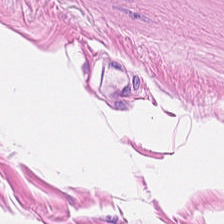H&E stain — Showing smooth-muscle tissue.
